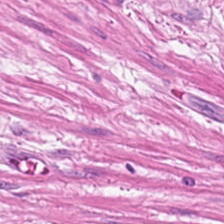H&E-stained section; the field shows smooth muscle.
